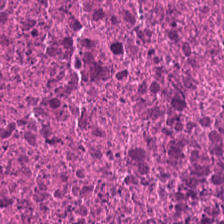Q: What is shown in this field?
A: This is cellular debris.
